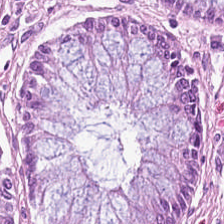Hematoxylin and eosin.
This field is benign colonic mucosa.
